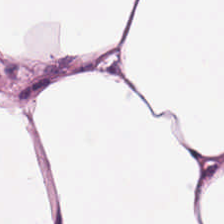H&E-stained section; the field shows fat tissue.
